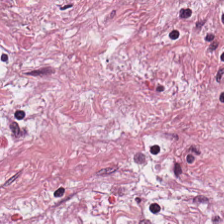20× equivalent magnification · H&E stain.
{"tissue_type": "tumor-associated stroma"}
